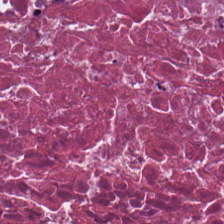Hematoxylin and eosin; 0.5 µm per pixel.
The tissue here is debris.
